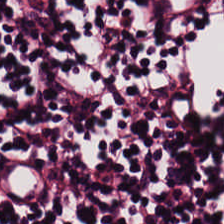H&E stain — Finding → lymphoid infiltrate.
